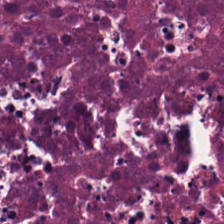H&E.
Q: What is shown in this field?
A: This is debris.
